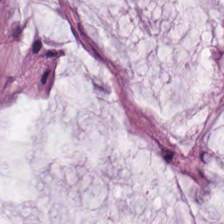Hematoxylin and eosin · FFPE · WSI patch.
Finding → mucin.
